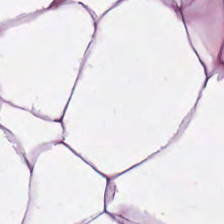Brightfield; H&E-stained tissue section; 224×224 px patch — The predominant tissue is adipocytes.
